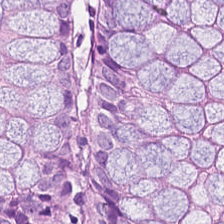H&E-stained section; the field shows normal colon mucosa.
